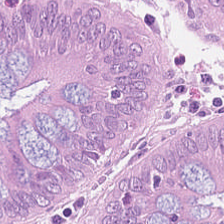The predominant tissue is non-neoplastic colon mucosa.
